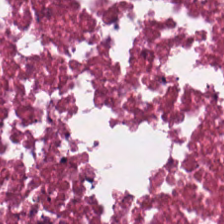H&E. The classification is debris.
